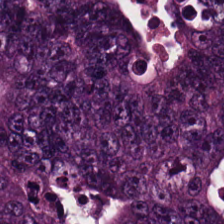H&E — Predominant tissue = malignant epithelium.
